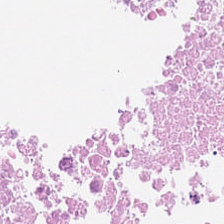H&E.
Impression → debris.
